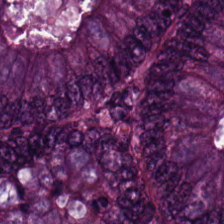0.5 microns per pixel · H&E · FFPE. Predominantly tumor epithelium.
